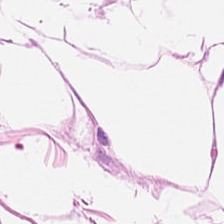Stain: H&E-stained tissue section.
Acquisition: brightfield microscopy.
Tile size: 224×224 pixel tile.
Tissue class: fat tissue.
